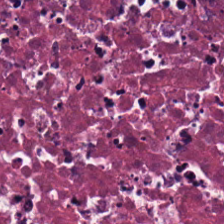Q: Classify this patch.
A: This is debris.
